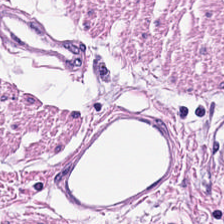Stain: H&E.
Classification: muscularis.
